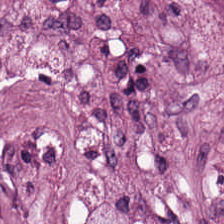H&E. Tissue class: desmoplastic stroma.
